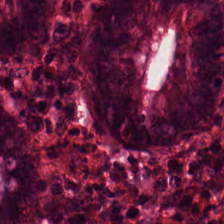224×224 px patch; hematoxylin-and-eosin stained section.
Q: Identify the tissue.
A: The field shows normal colonic mucosa.
